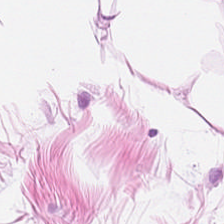Adipose.
